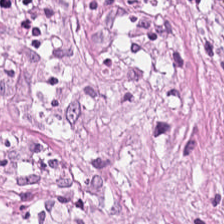0.5 µm/px · FFPE tissue section · H&E — Q: What tissue is shown?
A: This is tumor-associated stroma.
